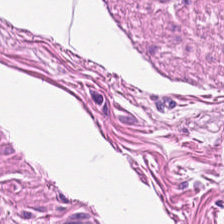H&E — smooth muscle.
